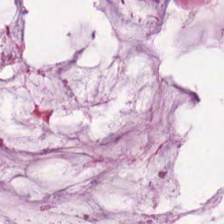Hematoxylin-and-eosin stained section.
Q: What does this patch show?
A: The field shows mucus.
